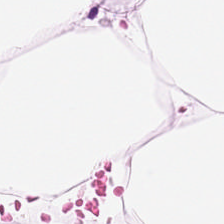H&E-stained tissue section. Impression — adipose.
